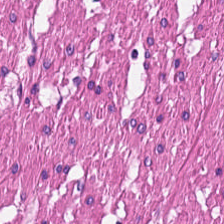Hematoxylin-and-eosin stained section. Whole-slide-image patch — Showing smooth muscle.
